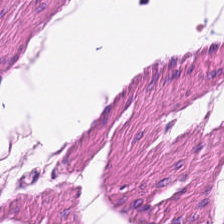H&E-stained tissue section · 224×224 pixel tile — Q: Identify the tissue.
A: It is smooth muscle.
